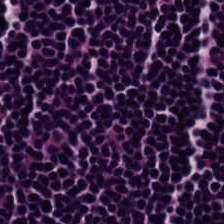Hematoxylin and eosin.
This patch shows lymphocytes.
